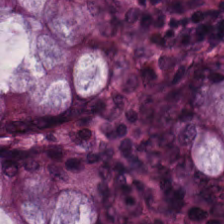H&E-stained tissue section — Tissue class: benign colonic mucosa.
